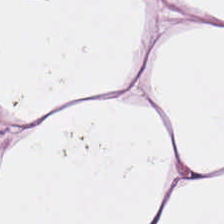H&E; WSI patch. Q: What tissue type is shown here?
A: The field shows adipose tissue.
